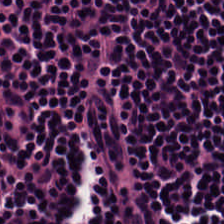Stain: H&E.
Preparation: formalin-fixed paraffin-embedded section.
Tissue type: lymphocyte aggregate.
